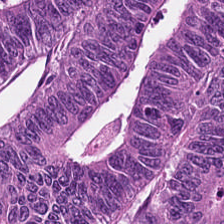H&E stain · brightfield microscopy.
This patch shows tumor epithelium.
